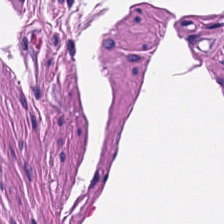Hematoxylin and eosin. Q: Identify the tissue.
A: It is smooth muscle.
